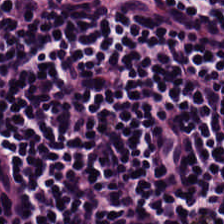Hematoxylin-and-eosin section: lymphocyte aggregate.
